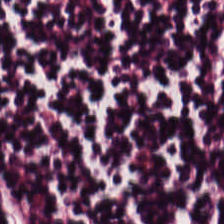H&E-stained tissue section.
Finding → lymphocytic infiltrate.
